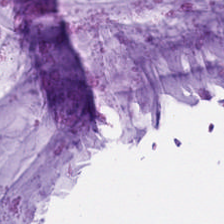{"tissue_type": "extracellular mucin"}
